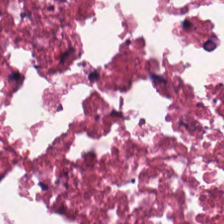WSI patch · H&E stain · 224×224 pixel tile — Tissue class = debris.
